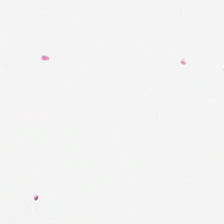Classification = no tissue.
